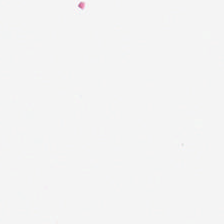H&E stain; 224×224 px tile. Field content = background (no tissue).
